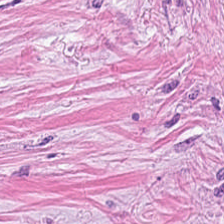H&E · 0.5 µm per pixel. Q: What tissue is shown?
A: This is desmoplastic stroma.
